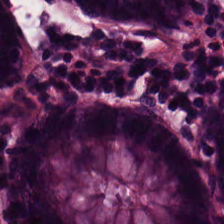Hematoxylin-and-eosin stained section · WSI patch · formalin-fixed paraffin-embedded section.
The predominant tissue is benign colonic mucosa.
